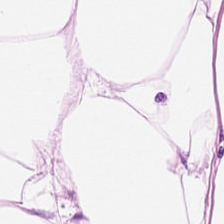Hematoxylin-and-eosin stained section. 224×224 px tile — The tissue is adipocytes.
